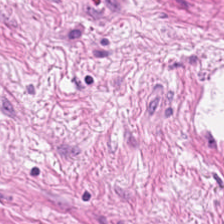Muscularis.
